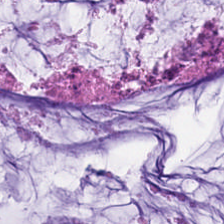H&E stain.
This field is mucus.
